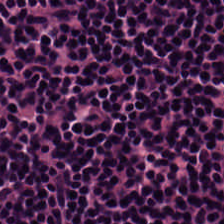Formalin-fixed paraffin-embedded section; hematoxylin and eosin.
This field is lymphoid infiltrate.
